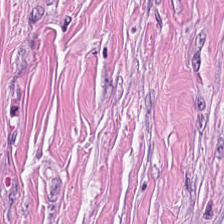Stain: hematoxylin-and-eosin stained section.
Tissue class: desmoplastic stroma.
